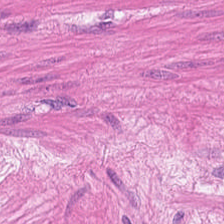H&E-stained tissue section — The tissue class is muscularis.
